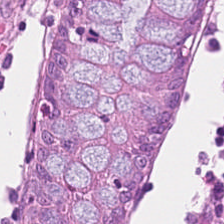Hematoxylin-and-eosin stained section — Q: What type of tissue is this?
A: It is benign colonic mucosa.
